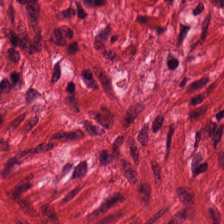H&E.
This field is smooth-muscle tissue.
